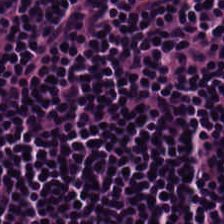Hematoxylin-and-eosin section: lymphocyte aggregate.
